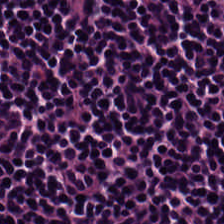Hematoxylin and eosin — Impression → lymphocytes.
